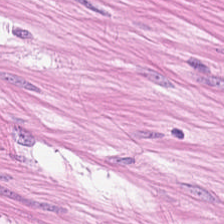H&E-stained tissue section — This patch shows muscularis.
